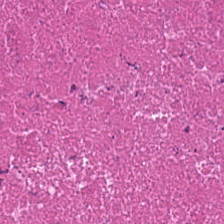Classification — cellular debris.
